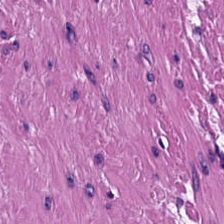Hematoxylin and eosin. This patch shows muscularis.
